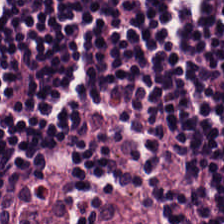H&E stain · 0.5 microns per pixel.
The predominant tissue is lymphocytic infiltrate.
